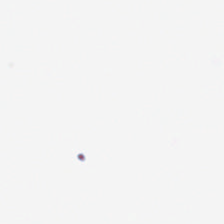Hematoxylin-and-eosin stained section. Empty field — background (no tissue).
